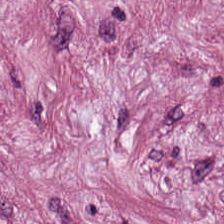H&E stain. The predominant tissue is tumor-associated stroma.
